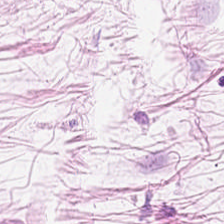H&E-stained tissue section.
Showing adipocytes.
